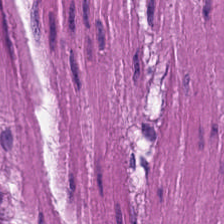Hematoxylin and eosin; brightfield microscopy; FFPE tissue section — This patch shows smooth-muscle tissue.
